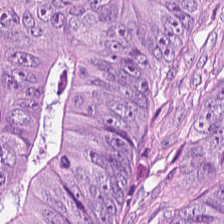H&E — Showing colorectal adenocarcinoma epithelium.
